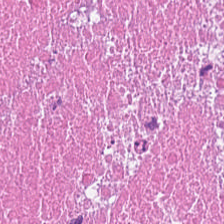H&E stain. 224×224 px patch — This patch shows debris.
